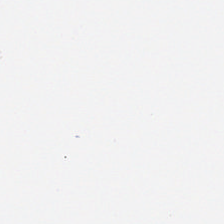224×224 px patch. H&E.
Q: Classify this patch.
A: The field shows background (no tissue).
